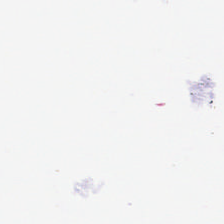224×224 pixel tile. Hematoxylin and eosin — Field content — background (no tissue).
